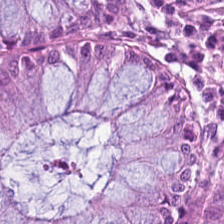Hematoxylin and eosin; 224×224 pixel tile.
The predominant tissue is non-neoplastic colon mucosa.
